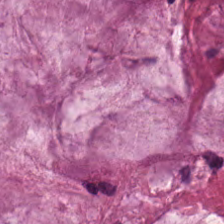Stain: H&E stain.
Classification: extracellular mucin.
